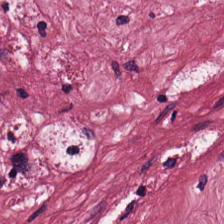FFPE; H&E-stained tissue section — The predominant tissue is desmoplastic stroma.
